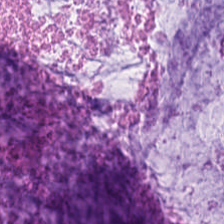H&E. Histology — mucus.
